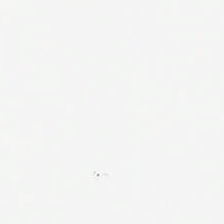H&E-stained tissue section; 0.5 microns per pixel. Field content = empty background.
